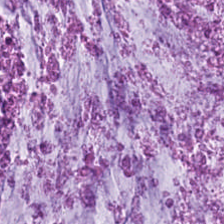Finding → mucin.
